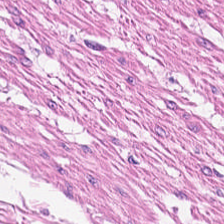Stain: hematoxylin and eosin.
Tissue: smooth-muscle tissue.
